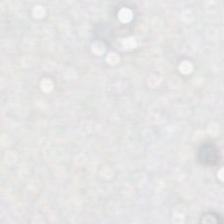Hematoxylin and eosin. Background — no tissue in this field.
